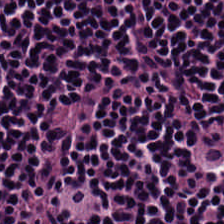Formalin-fixed paraffin-embedded section. Hematoxylin and eosin. Whole-slide-image patch — Q: What tissue is shown?
A: This is lymphocytic infiltrate.
